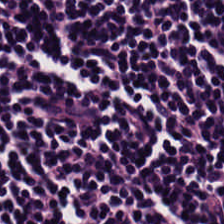Histology → lymphoid infiltrate.
